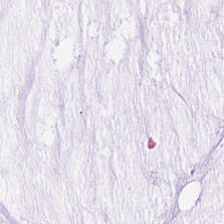H&E stain. Brightfield microscopy.
{"tissue_type": "extracellular mucin"}
